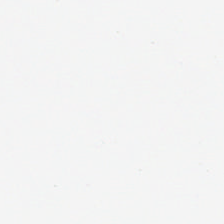H&E stain. 0.5 µm per pixel. Brightfield.
Q: Classify this patch.
A: No tissue.
